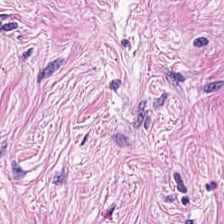Stain: hematoxylin and eosin.
Tissue class: cancer-associated stroma.
